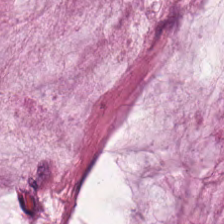H&E. The predominant tissue is mucin.
